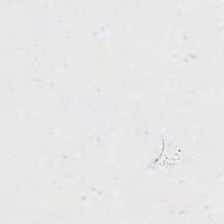WSI patch. H&E stain — Content — background.
